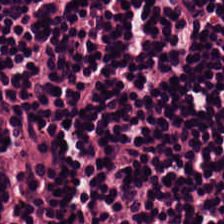Stain: hematoxylin-and-eosin stained section.
Tissue type: lymphocytes.
